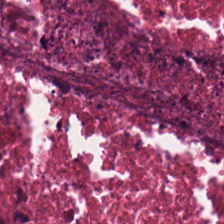224×224 px patch. H&E stain.
Q: What does this patch show?
A: It is necrotic debris.
